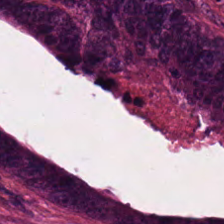H&E — {"tissue_type": "adenocarcinoma"}
